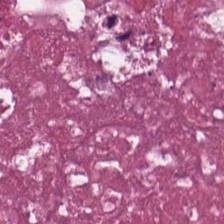Classification: cellular debris.
